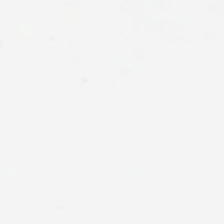Formalin-fixed paraffin-embedded section. 224×224 pixel tile. H&E stain. Q: What is shown in this field?
A: It is background.
